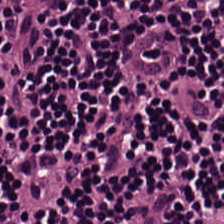Predominant tissue: lymphocytic infiltrate.
